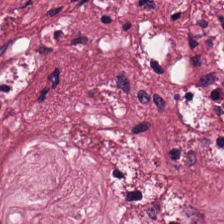H&E stain. 0.5 µm/px.
Predominant tissue = cancer-associated stroma.
